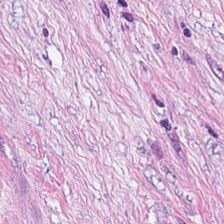Whole-slide-image patch; H&E-stained tissue section — Tissue type = desmoplastic stroma.
